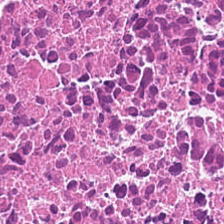Q: Classify this patch.
A: This is debris.
